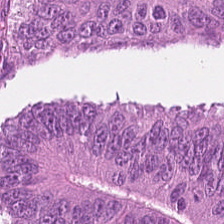20× equivalent magnification. H&E stain.
Predominant tissue: malignant epithelium.
